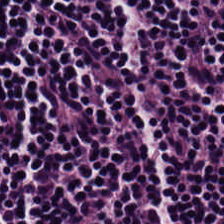Hematoxylin and eosin. {"tissue_type": "lymphocytic infiltrate"}
